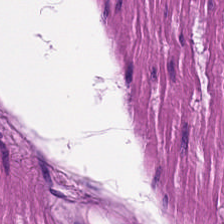H&E stain.
Predominantly smooth-muscle tissue.
